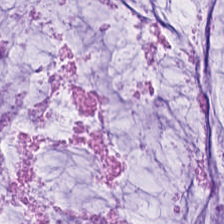H&E-stained tissue section; 224×224 pixel tile. Predominantly mucus.
